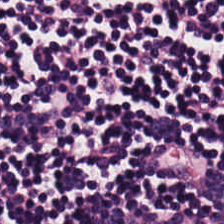Hematoxylin and eosin.
Q: What is the predominant tissue type?
A: Lymphocyte aggregate.
